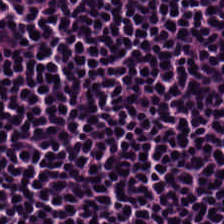Predominantly lymphocyte aggregate.
